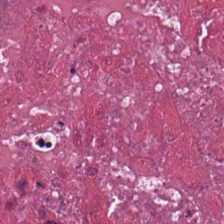H&E.
{"tissue_type": "necrotic debris"}
